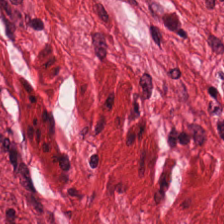Hematoxylin-and-eosin stained section.
Histology — smooth-muscle tissue.
